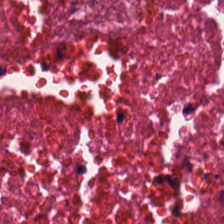FFPE · H&E. Classification — debris.
